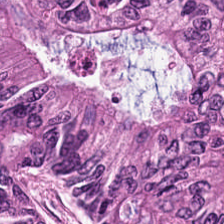Hematoxylin and eosin.
Tissue type = tumor epithelium.
